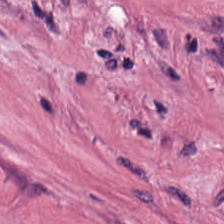Hematoxylin and eosin — The tissue here is tumor stroma.
